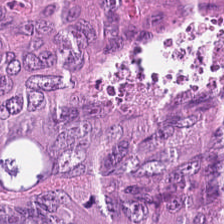Hematoxylin-and-eosin stained section — {"tissue_type": "malignant epithelium"}
